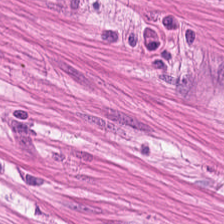This patch shows muscularis.
